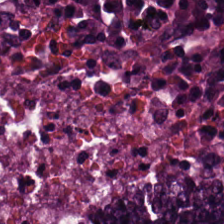This field is adenocarcinoma.
